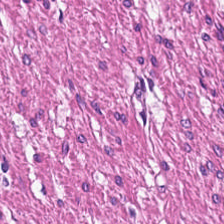Stain: hematoxylin-and-eosin stained section.
Tissue: muscularis.
